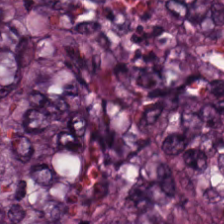Hematoxylin and eosin. {"tissue_type": "colorectal adenocarcinoma epithelium"}
